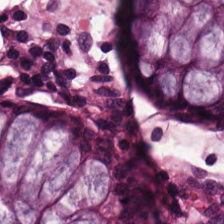Stain: hematoxylin and eosin.
Tile size: 224×224 pixel tile.
Preparation: FFPE.
Tissue type: non-neoplastic colon mucosa.
